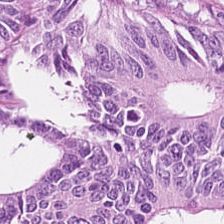H&E stain. This field is malignant epithelium.
